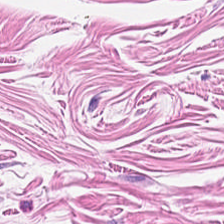The tissue here is smooth muscle.
